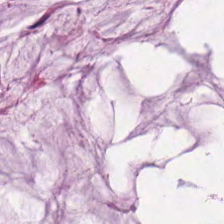H&E.
The classification is extracellular mucin.
